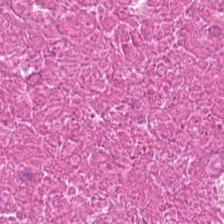Hematoxylin-and-eosin stained section.
The tissue class is necrotic debris.
